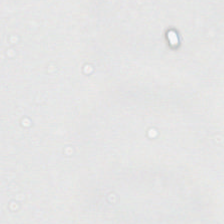Hematoxylin-and-eosin stained section.
{"content": "background (no tissue)"}
